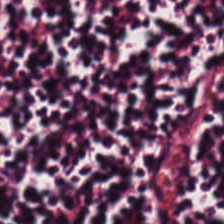The predominant tissue is lymphocytic infiltrate.
